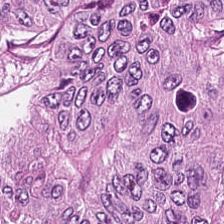Whole-slide-image patch · H&E stain. Finding — adenocarcinoma.
